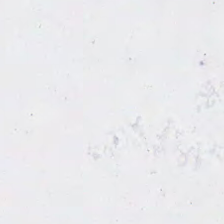This patch shows no tissue.
